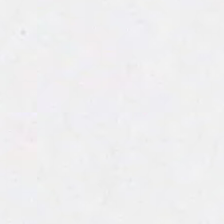Empty field — background.
